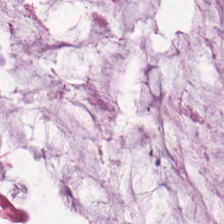Brightfield. H&E stain. FFPE tissue section — Mucus.
